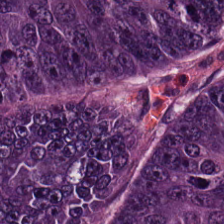Hematoxylin and eosin. Whole-slide-image patch. 0.5 µm/px — Tissue type — adenocarcinoma.
